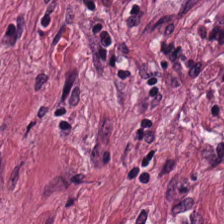Showing tumor-associated stroma.
